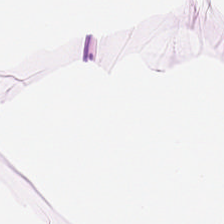{"tissue_type": "fat tissue"}
